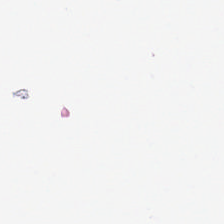Brightfield; 224×224 px patch; H&E-stained tissue section. No tissue.
